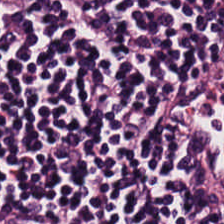Stain: H&E stain.
Resolution: 0.5 µm per pixel.
Tissue: lymphoid infiltrate.
